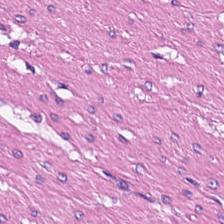H&E. This field is smooth muscle.
